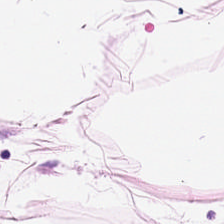Hematoxylin-and-eosin stained section · formalin-fixed paraffin-embedded section. Q: What does this patch show?
A: The field shows adipocytes.
